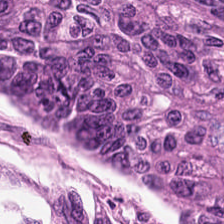The classification is colorectal adenocarcinoma.
